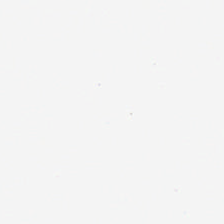Hematoxylin and eosin. Classification — empty background.
